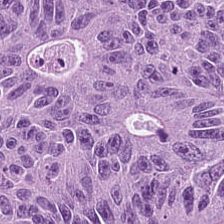Hematoxylin and eosin — Q: What tissue is shown?
A: Colorectal adenocarcinoma.
